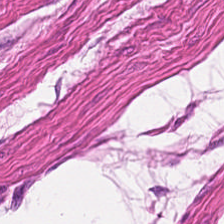Tissue: smooth muscle.
